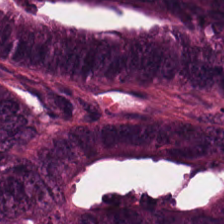H&E.
Impression → tumor epithelium.
